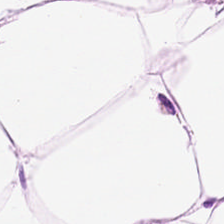H&E-stained tissue section.
The tissue is adipocytes.
